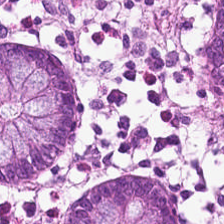Stain: H&E.
Tissue class: normal colon mucosa.
